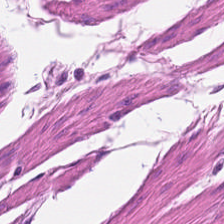Stain: H&E-stained tissue section.
Resolution: 0.5 µm/px.
Tissue type: muscularis.
